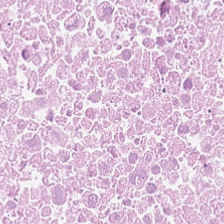Hematoxylin and eosin; brightfield — This patch shows debris.
